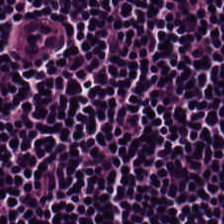H&E stain · 224×224 px patch — Tissue = lymphocyte aggregate.
